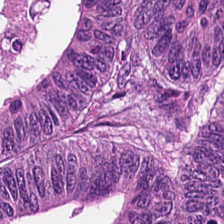H&E. Showing tumor epithelium.
